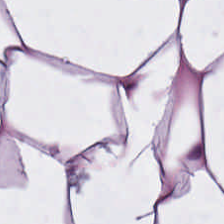The tissue here is adipose.
